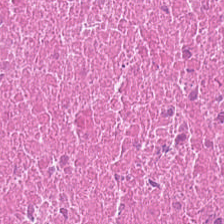The tissue is debris.
